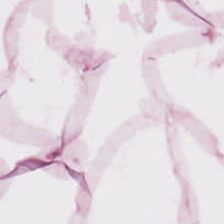FFPE; H&E. Q: What type of tissue is this?
A: Adipocytes.
